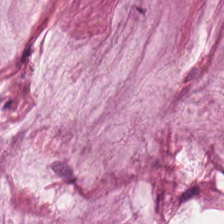Stain: H&E.
Acquisition: brightfield.
Predominant tissue: mucus.
